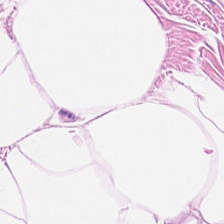224×224 px patch · H&E stain.
Showing fat tissue.
